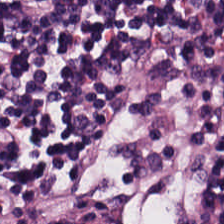H&E stain. This patch shows lymphocytes.
